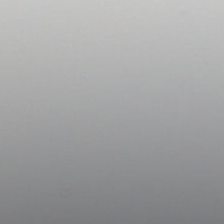Hematoxylin-and-eosin stained section. Finding → no tissue.
